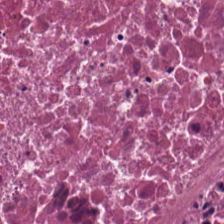H&E.
Tissue: debris.
